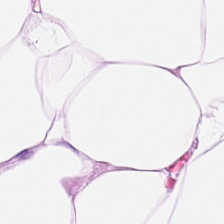Stain: hematoxylin-and-eosin stained section.
Resolution: 0.5 microns per pixel.
Classification: adipocytes.
